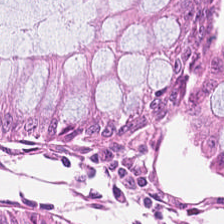Stain: H&E.
Tissue type: normal colonic mucosa.
